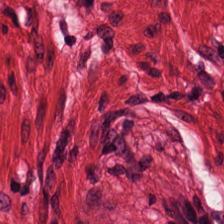Hematoxylin-and-eosin stained section. This patch shows muscularis.
